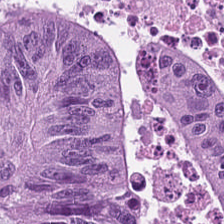H&E · 224×224 px tile. Colorectal adenocarcinoma epithelium.
